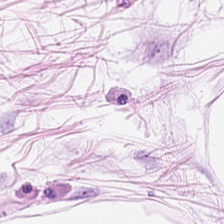224×224 pixel tile. Hematoxylin and eosin.
Tissue = adipose tissue.
